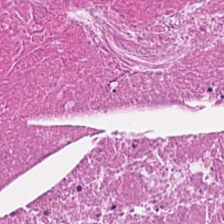H&E-stained tissue section. Formalin-fixed paraffin-embedded section.
Predominant tissue: cellular debris.
